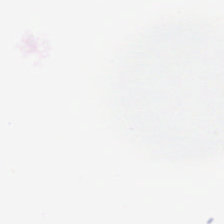Stain: H&E.
Content: background (no tissue).
